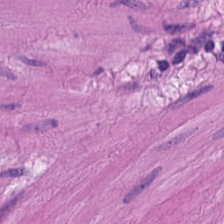224×224 px patch · H&E. {"tissue_type": "smooth muscle"}
